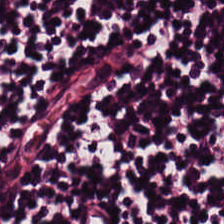Predominant tissue = lymphocytic infiltrate.
